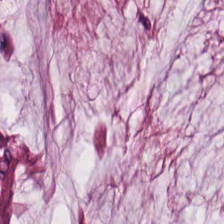H&E-stained tissue section. 0.5 microns per pixel.
Predominantly mucus.
